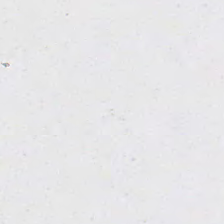H&E stain; 224×224 px tile.
The content is no tissue.
